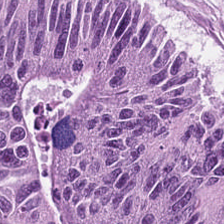Hematoxylin and eosin. The predominant tissue is tumor epithelium.
